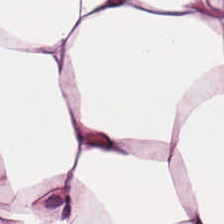Hematoxylin-and-eosin stained section. This field is adipose.
